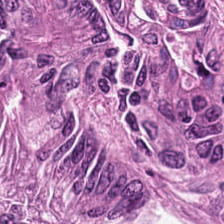20× equivalent magnification · hematoxylin-and-eosin stained section.
The predominant tissue is colorectal adenocarcinoma.
